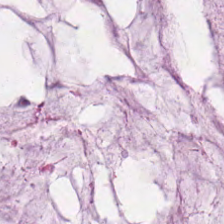Stain: hematoxylin-and-eosin stained section.
Tile size: 224×224 px tile.
Tissue: mucus.
